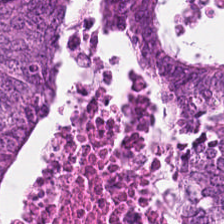224×224 px patch; H&E-stained tissue section — Predominantly adenocarcinoma.
